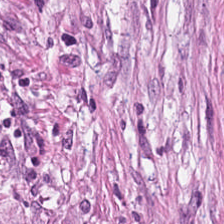224×224 pixel tile; H&E-stained tissue section.
Tumor-associated stroma.
